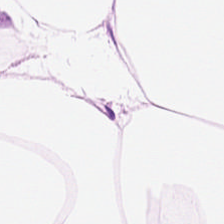H&E-stained tissue section.
Finding → adipose.
